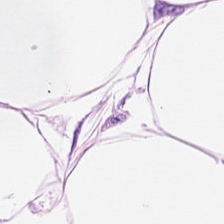Hematoxylin-and-eosin stained section.
This field is fat tissue.
